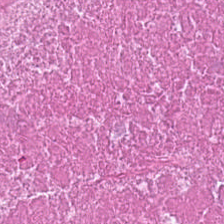H&E stain. Tissue class: necrotic debris.
